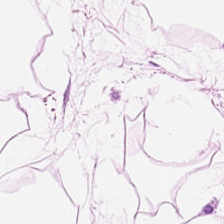Hematoxylin and eosin. Fat tissue.
